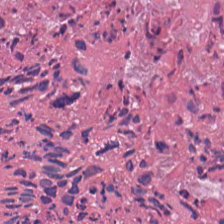H&E-stained tissue section. Q: What tissue type is shown here?
A: It is cellular debris.
